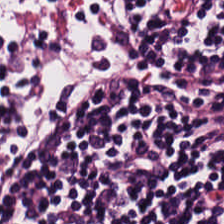H&E-stained tissue section. Q: What is shown here?
A: It is lymphocyte aggregate.
